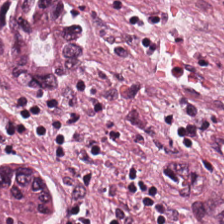{"tissue_type": "malignant epithelium"}
